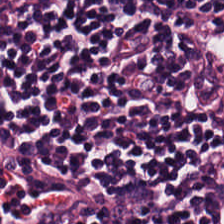H&E stain — Impression → lymphocytic infiltrate.
